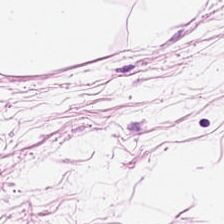Hematoxylin-and-eosin stained section.
The tissue here is adipocytes.
